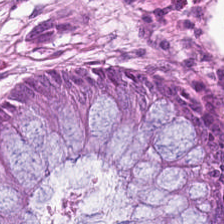Tissue class = benign colonic mucosa.
